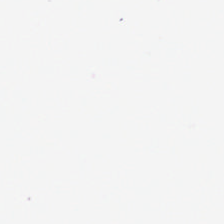Background — no tissue in this field.
